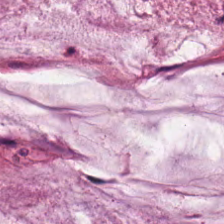WSI patch · hematoxylin and eosin · 224×224 px patch.
Predominantly mucin.
